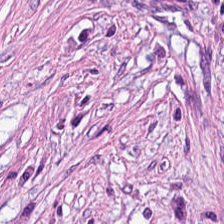WSI patch; H&E; 0.5 µm/px.
This patch shows tumor-associated stroma.
